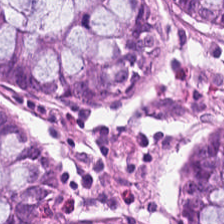H&E patch showing benign colonic mucosa.
